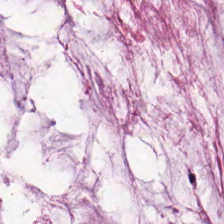Hematoxylin and eosin; 224×224 px patch.
Q: Classify this patch.
A: The field shows mucus.
